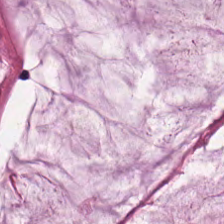Q: What tissue type is shown here?
A: The field shows mucin.
